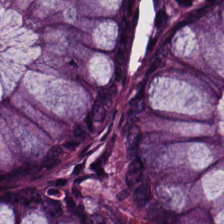H&E stain; FFPE tissue section.
Q: What is shown in this field?
A: This is normal colon mucosa.
